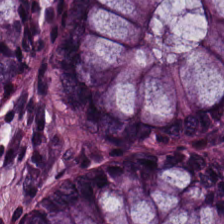H&E; 224×224 px tile. This patch shows non-neoplastic colon mucosa.
